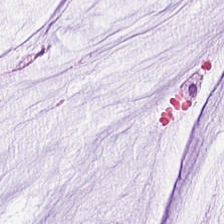H&E-stained tissue section showing mucus.
